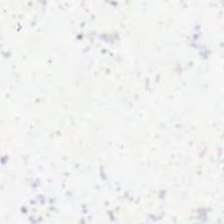H&E-stained tissue section.
Q: Classify this patch.
A: This is empty background.
